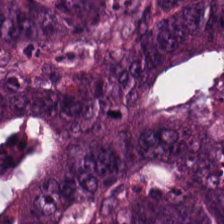Brightfield microscopy; hematoxylin and eosin.
Predominantly adenocarcinoma.
